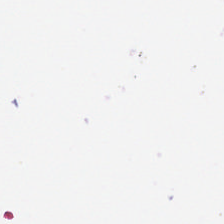No tissue present; background only.
